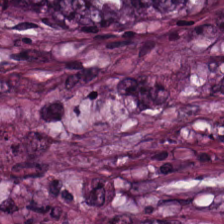Stain: hematoxylin and eosin.
Predominant tissue: malignant epithelium.
